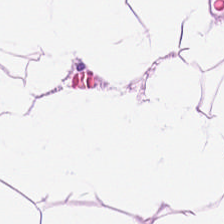Classification: adipose.
